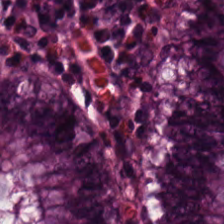H&E — Finding — non-neoplastic colon mucosa.
